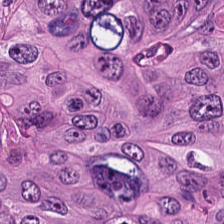Q: Identify the tissue.
A: Tumor epithelium.
